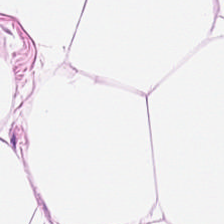Stain: H&E.
Tissue: adipocytes.
